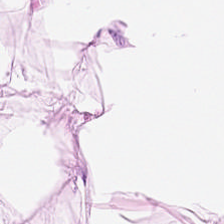H&E patch showing fat tissue.
